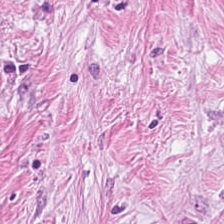224×224 px patch; hematoxylin-and-eosin stained section. This field is tumor-associated stroma.
